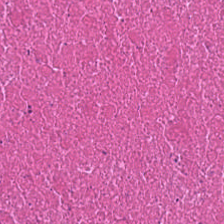H&E-stained tissue section — Impression → cellular debris.
